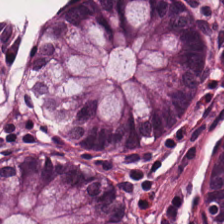H&E stain. The predominant tissue is benign colonic mucosa.
